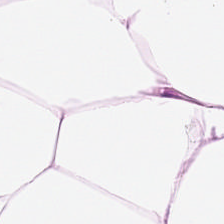Stain: H&E-stained tissue section.
Predominant tissue: adipose.
